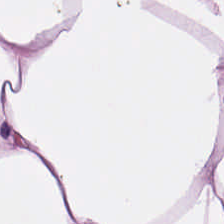Stain: H&E stain.
Tile size: 224×224 px tile.
Acquisition: WSI patch.
Predominant tissue: fat tissue.
